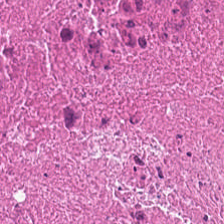Hematoxylin and eosin — Q: What is shown in this field?
A: The field shows debris.
